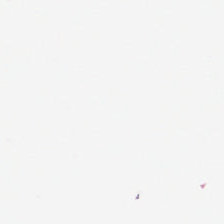Hematoxylin-and-eosin stained section — The content is background (no tissue).
